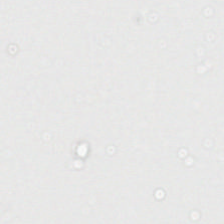Hematoxylin-and-eosin stained section.
Content = no tissue.
